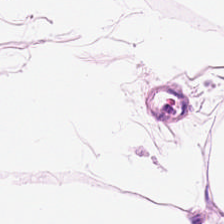Stain: H&E-stained tissue section.
Predominant tissue: adipose.
